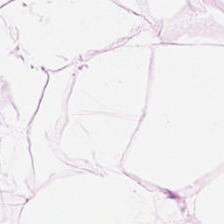FFPE; 224×224 px tile; hematoxylin-and-eosin stained section. Q: What is the predominant tissue type?
A: The field shows adipose.
